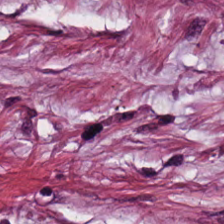Hematoxylin and eosin. Tissue type: tumor-associated stroma.
